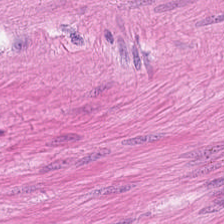Predominantly smooth-muscle tissue.
